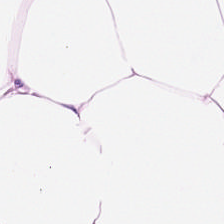Stain: hematoxylin-and-eosin stained section.
Predominant tissue: adipose.
